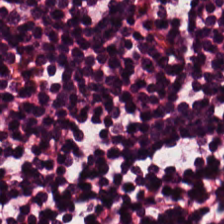Hematoxylin-and-eosin stained section — Impression — lymphocyte aggregate.
